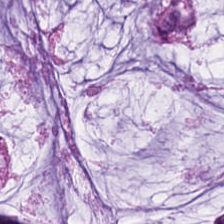Hematoxylin-and-eosin stained section; 20× equivalent magnification. Extracellular mucin.
